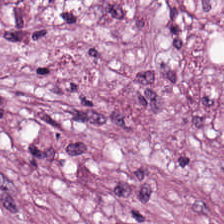H&E. Tumor stroma.
